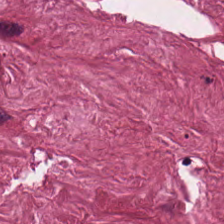H&E-stained tissue section.
Predominant tissue = tumor stroma.
